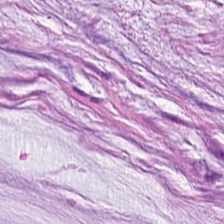FFPE · H&E stain · 0.5 µm per pixel.
Tissue type — mucin.
